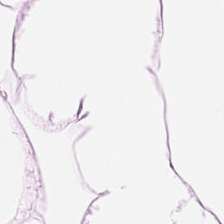Hematoxylin-and-eosin stained section.
Predominantly adipose.
